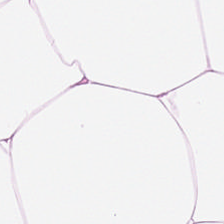H&E-stained tissue section.
Predominantly adipose tissue.
